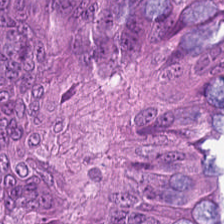H&E-stained section; the field shows colorectal adenocarcinoma.
